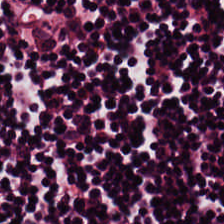H&E stain. 224×224 pixel tile.
Finding → lymphoid infiltrate.
